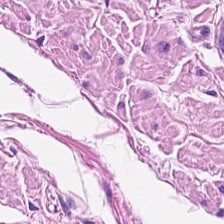224×224 pixel tile · hematoxylin and eosin. Q: What type of tissue is this?
A: The field shows muscularis.
